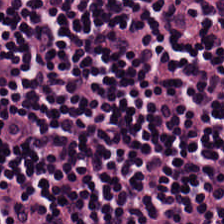20× equivalent magnification. 224×224 pixel tile. Hematoxylin and eosin — Finding → lymphocytic infiltrate.
